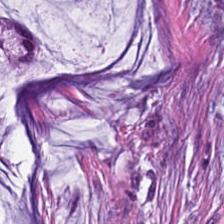224×224 pixel tile. 0.5 µm per pixel. Hematoxylin and eosin.
Q: What is the predominant tissue type?
A: The field shows extracellular mucin.
